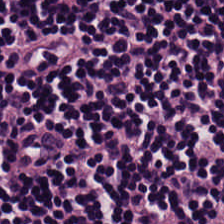H&E stain; brightfield microscopy — Q: What is the predominant tissue type?
A: It is lymphocytes.
